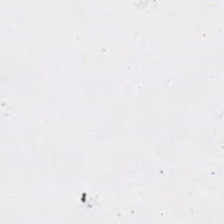The field content is background.
